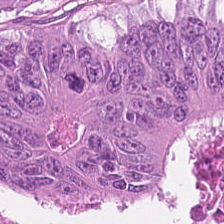224×224 px tile · H&E-stained tissue section.
Q: What is the predominant tissue type?
A: Tumor epithelium.
